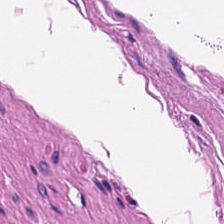H&E · brightfield · 224×224 pixel tile — Q: What is the predominant tissue type?
A: It is smooth muscle.
